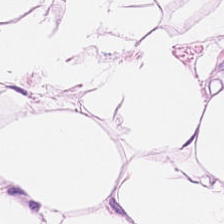H&E.
Q: What is shown here?
A: It is fat tissue.
